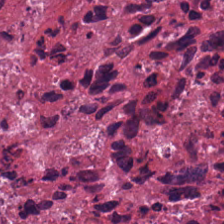Classification = cellular debris.
